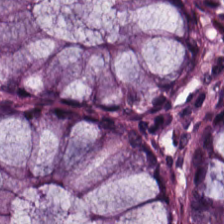0.5 microns per pixel; H&E stain.
The tissue type is non-neoplastic colon mucosa.
